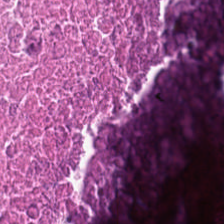0.5 microns per pixel; H&E stain; 224×224 pixel tile — The predominant tissue is cellular debris.
